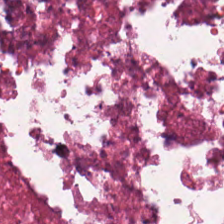H&E-stained tissue section · FFPE · 20× equivalent magnification — Debris.
